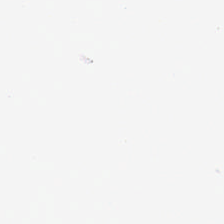The classification is no tissue.
